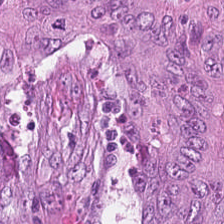Brightfield. H&E-stained tissue section. FFPE tissue section — Q: What does this patch show?
A: Colorectal adenocarcinoma.
